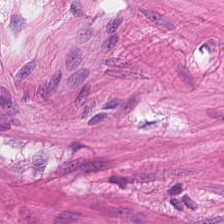H&E. Whole-slide-image patch. Classification: smooth muscle.
